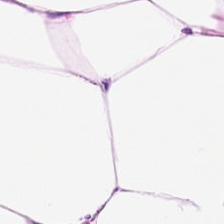Brightfield microscopy · 20× equivalent magnification · hematoxylin-and-eosin stained section — The tissue here is adipocytes.
